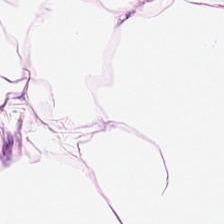H&E-stained tissue section. 20× equivalent magnification. The tissue here is adipose.
